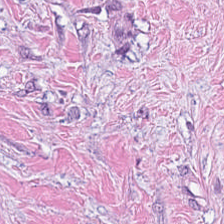224×224 px tile · hematoxylin and eosin — Q: What is shown in this field?
A: Cancer-associated stroma.
